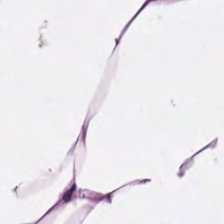H&E-stained tissue section; formalin-fixed paraffin-embedded section.
Adipocytes.
